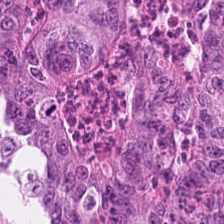H&E. Brightfield. Finding — malignant epithelium.
